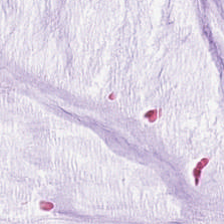Q: Identify the tissue.
A: Mucin.
